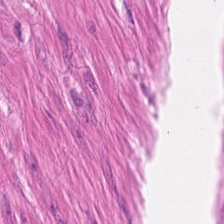Brightfield. FFPE. H&E stain. Predominantly smooth-muscle tissue.
